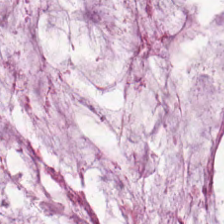Stain: H&E.
Tissue type: mucus.
